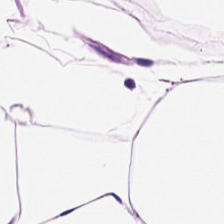Whole-slide-image patch. FFPE tissue section. H&E.
Predominantly fat tissue.
